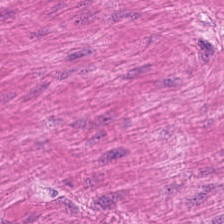Histology → muscularis.
